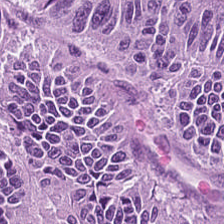224×224 px patch; hematoxylin and eosin; FFPE — Tissue class = adenocarcinoma.
